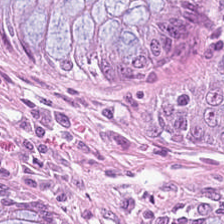H&E; brightfield microscopy. Tissue = non-neoplastic colon mucosa.
